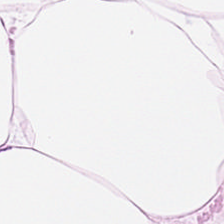H&E stain — {"tissue_type": "adipocytes"}
